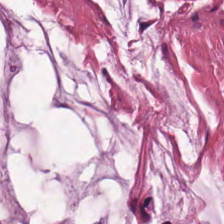Predominant tissue = mucus.
